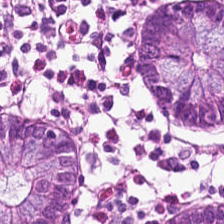224×224 pixel tile; H&E stain. Tissue = non-neoplastic colon mucosa.
